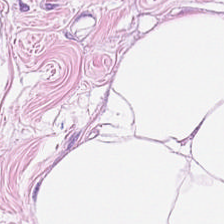Formalin-fixed paraffin-embedded section. H&E-stained tissue section. 0.5 µm per pixel.
Q: What is shown here?
A: The field shows adipocytes.
